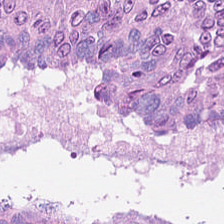Whole-slide-image patch · H&E.
Showing colorectal adenocarcinoma.
